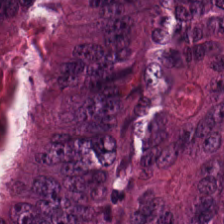H&E.
Colorectal adenocarcinoma.
